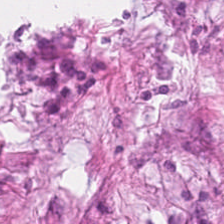H&E · 224×224 px tile · brightfield.
Cancer-associated stroma.
